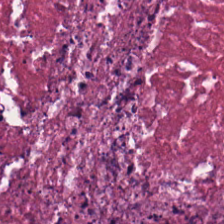0.5 µm/px; H&E stain — Impression — debris.
